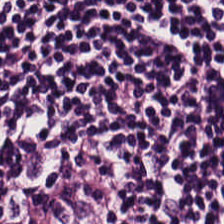Hematoxylin-and-eosin stained section · brightfield microscopy.
Classification: lymphocyte aggregate.
